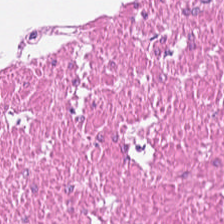0.5 µm per pixel; hematoxylin-and-eosin stained section — This field is muscularis.
